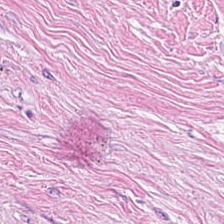{"tissue_type": "tumor stroma"}
